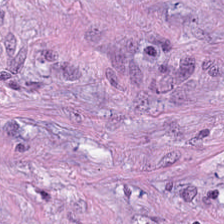H&E stain.
Classification — desmoplastic stroma.
